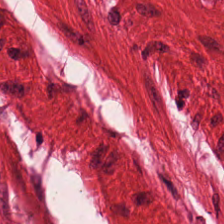Q: Identify the tissue.
A: Smooth-muscle tissue.
